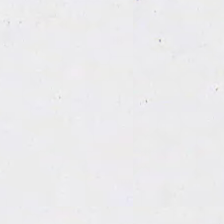Hematoxylin and eosin. Impression — background (no tissue).
